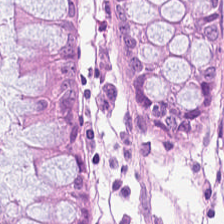H&E-stained tissue section — The tissue is benign colonic mucosa.
